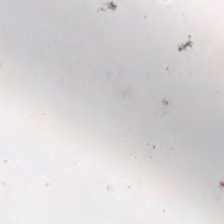Finding → no tissue.
